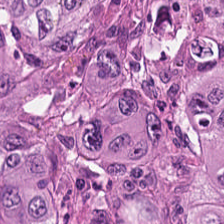Hematoxylin and eosin — Finding — adenocarcinoma.
